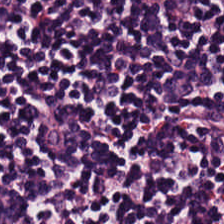H&E — {"tissue_type": "lymphocyte aggregate"}
